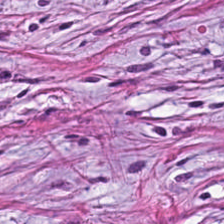Hematoxylin-and-eosin stained section — Classification: desmoplastic stroma.
